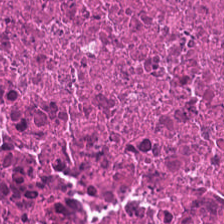Q: Classify this patch.
A: It is cellular debris.
